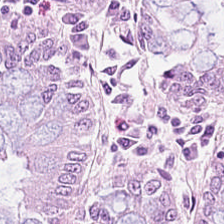H&E — normal colonic mucosa.
